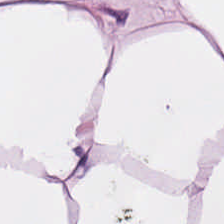H&E-stained tissue section — Impression → adipose tissue.
